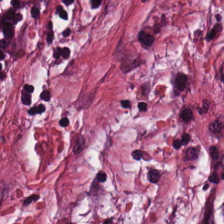Hematoxylin and eosin — Impression — cancer-associated stroma.
